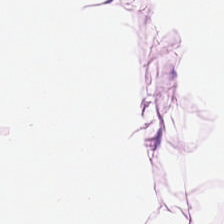Hematoxylin and eosin — Q: What is the predominant tissue type?
A: It is adipose.
